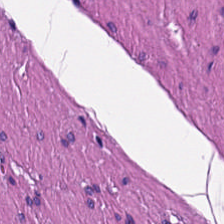H&E-stained tissue section showing smooth muscle.
